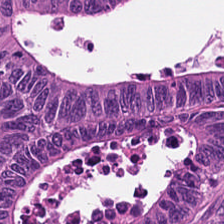H&E — The predominant tissue is colorectal adenocarcinoma epithelium.
